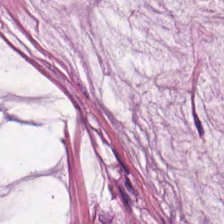Whole-slide-image patch · H&E-stained tissue section · 224×224 px tile — Histology → extracellular mucin.
